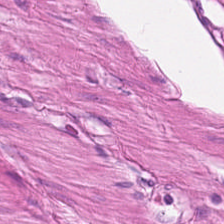H&E-stained tissue section showing muscularis.
